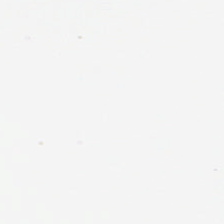This field is background (no tissue).
